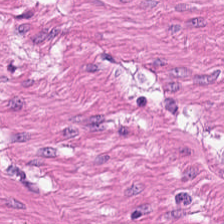Q: What type of tissue is this?
A: Smooth-muscle tissue.
